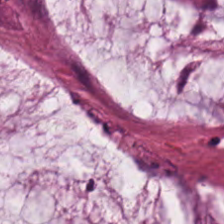224×224 px patch · H&E · formalin-fixed paraffin-embedded section.
This field is mucin.
